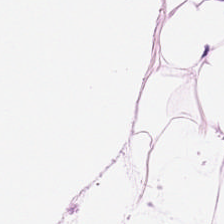H&E-stained tissue section — This patch shows adipose.
